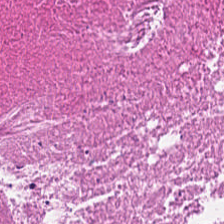This patch shows necrotic debris.
